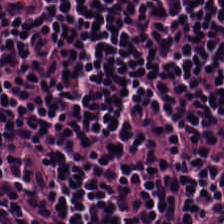H&E-stained tissue section — Q: What does this patch show?
A: It is lymphocytic infiltrate.
